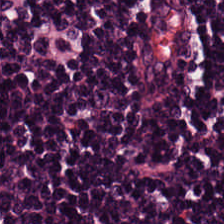FFPE · H&E.
The tissue is lymphocytes.
